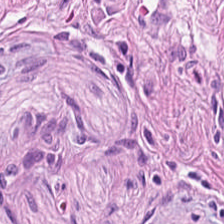FFPE. H&E. Tissue — smooth-muscle tissue.
